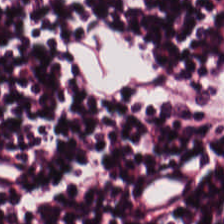H&E stain · WSI patch. Q: What tissue type is shown here?
A: This is lymphocytes.
